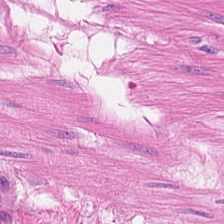Smooth-muscle tissue.
